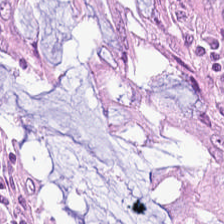Hematoxylin-and-eosin stained section. 224×224 px patch.
Tissue type = normal colon mucosa.
